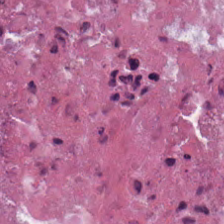Hematoxylin and eosin.
This field is debris.
